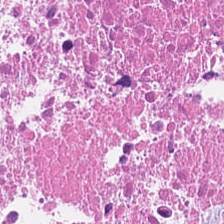H&E — Tissue class = debris.
